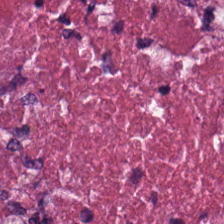Q: What type of tissue is this?
A: The field shows necrotic debris.
